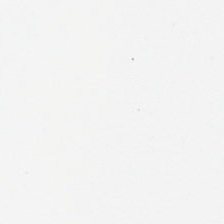224×224 pixel tile. H&E-stained tissue section.
{"content": "empty background"}
